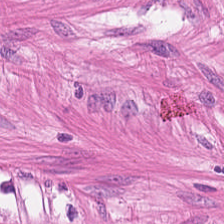H&E.
Q: What is the predominant tissue type?
A: The field shows smooth-muscle tissue.
